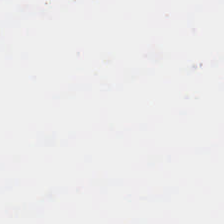Hematoxylin and eosin. FFPE tissue section. Finding → background (no tissue).
